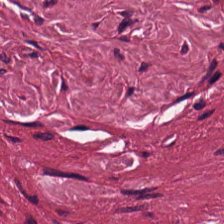Formalin-fixed paraffin-embedded section; H&E-stained tissue section; 20× equivalent magnification — The predominant tissue is desmoplastic stroma.
